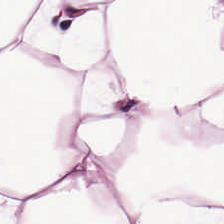Q: What is shown in this field?
A: Adipose.
